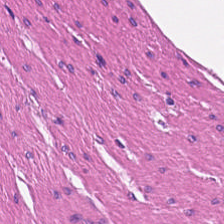H&E-stained tissue section — Q: What type of tissue is this?
A: This is smooth-muscle tissue.
